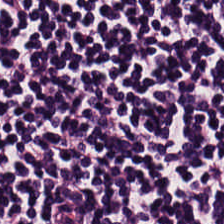H&E stain.
The tissue here is lymphocytes.
